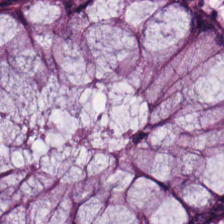H&E-stained tissue section showing normal colonic mucosa.
